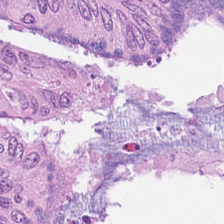Hematoxylin and eosin; WSI patch.
Tumor epithelium.
